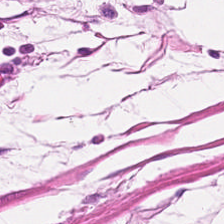Hematoxylin and eosin · 0.5 µm/px · FFPE.
Finding → muscularis.
